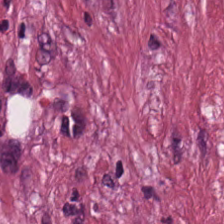H&E. Predominant tissue — tumor stroma.
